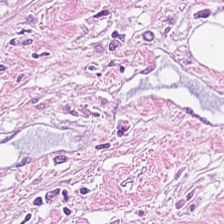Desmoplastic stroma.
